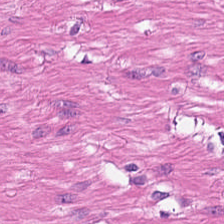224×224 pixel tile · FFPE tissue section · hematoxylin and eosin.
Classification — smooth-muscle tissue.
